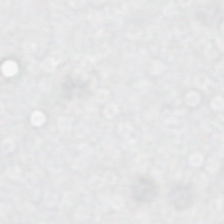Hematoxylin-and-eosin stained section. Formalin-fixed paraffin-embedded section.
Content: empty background.
